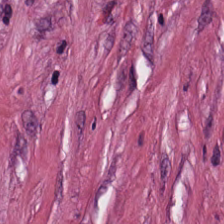Hematoxylin-and-eosin stained section · 224×224 px patch. {"tissue_type": "cancer-associated stroma"}
